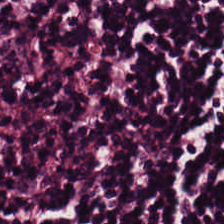H&E-stained tissue section — Q: What does this patch show?
A: It is lymphocyte aggregate.
